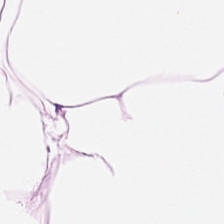H&E; 0.5 µm per pixel. The predominant tissue is adipocytes.
